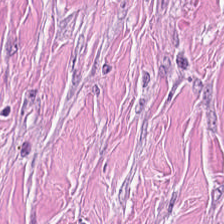H&E — Showing desmoplastic stroma.
